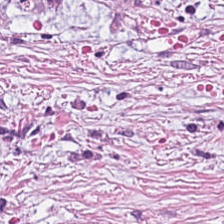Stain: H&E.
Preparation: FFPE tissue section.
Tissue type: cancer-associated stroma.
